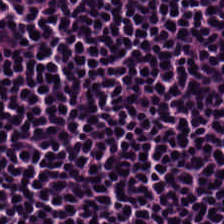H&E-stained tissue section — The predominant tissue is lymphocytic infiltrate.
